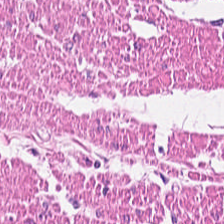Stain: hematoxylin and eosin.
Tissue class: muscularis.
